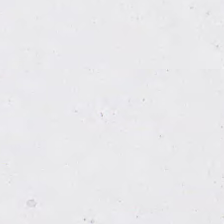No tissue present; background only.
